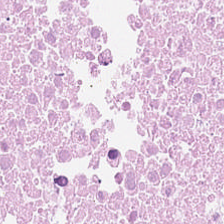H&E-stained tissue section · 224×224 pixel tile — Showing cellular debris.
